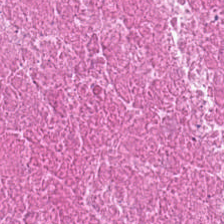Finding → debris.
